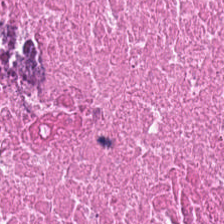H&E stain.
Tissue type = debris.
